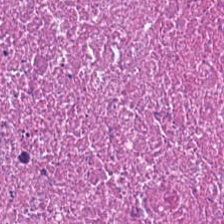H&E. 20× equivalent magnification — This patch shows cellular debris.
